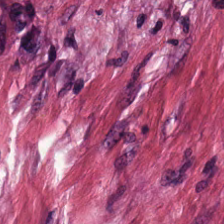The tissue class is desmoplastic stroma.
